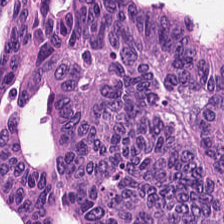H&E — Classification: colorectal adenocarcinoma epithelium.
